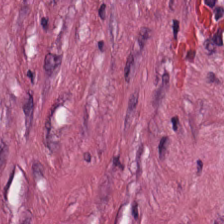H&E.
Tissue type: tumor-associated stroma.
